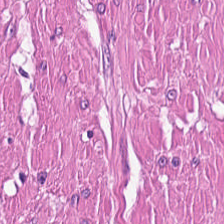Stain: hematoxylin and eosin.
Acquisition: brightfield microscopy.
Tile size: 224×224 px tile.
Tissue class: smooth-muscle tissue.
